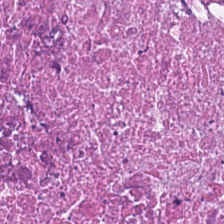This patch shows necrotic debris.
